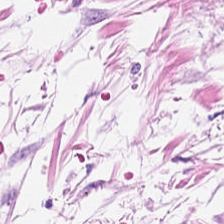H&E · formalin-fixed paraffin-embedded section. Predominantly adipose tissue.
